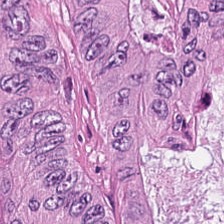Impression — colorectal adenocarcinoma epithelium.
